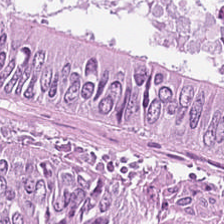H&E stain — Q: What type of tissue is this?
A: It is adenocarcinoma.
